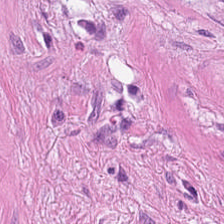Hematoxylin-and-eosin stained section — Q: What is the predominant tissue type?
A: Smooth muscle.
